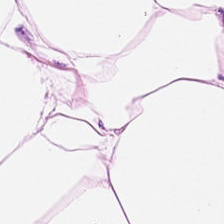Q: What is the predominant tissue type?
A: It is fat tissue.
